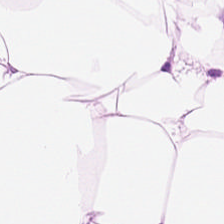H&E patch showing fat tissue.
